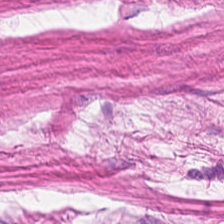Classification = smooth muscle.
